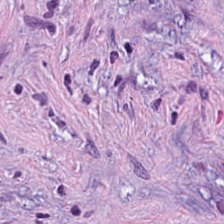H&E stain. Histology — tumor-associated stroma.
